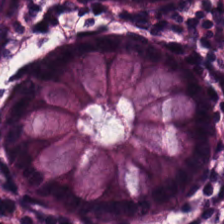Stain: hematoxylin-and-eosin stained section.
Tissue type: non-neoplastic colon mucosa.
